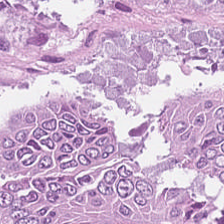0.5 µm/px. H&E stain. 224×224 px tile — Q: What is shown in this field?
A: This is adenocarcinoma.
